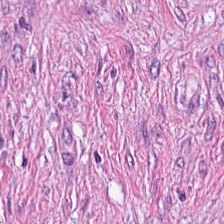H&E-stained tissue section — The tissue here is desmoplastic stroma.
